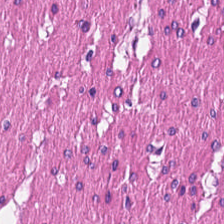224×224 pixel tile. Hematoxylin and eosin. FFPE tissue section. The predominant tissue is smooth muscle.
